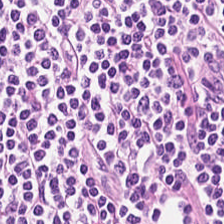Stain: H&E.
Preparation: FFPE tissue section.
Tile size: 224×224 pixel tile.
Predominant tissue: lymphocytes.
